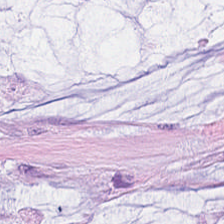Hematoxylin-and-eosin stained section · 224×224 pixel tile. The tissue here is mucus.
